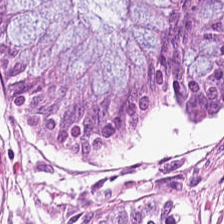Hematoxylin-and-eosin stained section.
This field is non-neoplastic colon mucosa.
